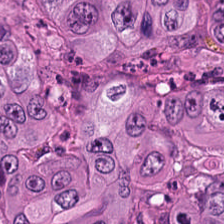Stain: H&E.
Acquisition: brightfield microscopy.
Tissue: tumor epithelium.
